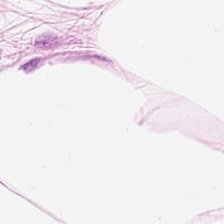H&E — Q: What tissue is shown?
A: This is adipose tissue.
